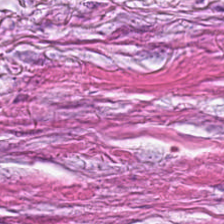20× equivalent magnification. 224×224 px patch. Hematoxylin-and-eosin stained section.
Q: What tissue is shown?
A: The field shows desmoplastic stroma.
